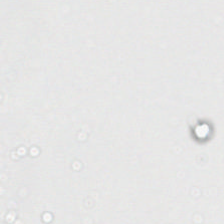H&E — Field content = background.
